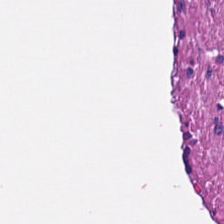Stain: H&E stain.
Tissue class: muscularis.
